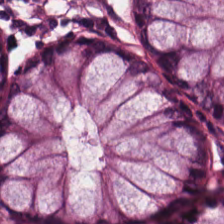Normal colonic mucosa.
